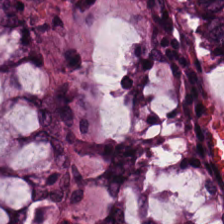Hematoxylin and eosin. Classification — normal colonic mucosa.
